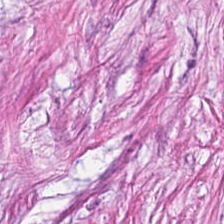Predominant tissue = desmoplastic stroma.
